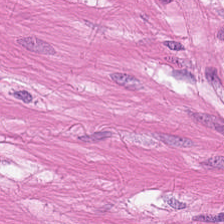Q: What is shown here?
A: Smooth-muscle tissue.
